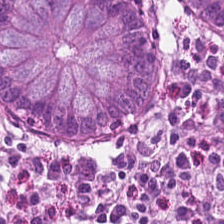0.5 microns per pixel · H&E-stained tissue section · 224×224 pixel tile — The tissue here is normal colon mucosa.
